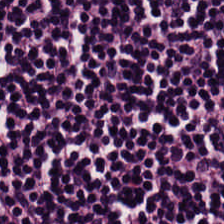Hematoxylin-and-eosin stained section · FFPE. This patch shows lymphocytic infiltrate.
